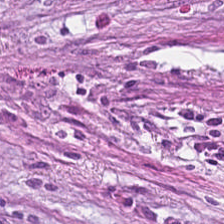H&E. Classification — tumor-associated stroma.
